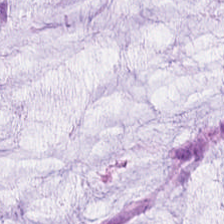H&E.
Impression → mucus.
